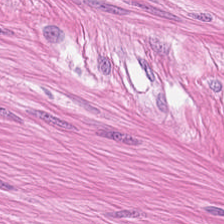H&E-stained section; the field shows smooth-muscle tissue.
